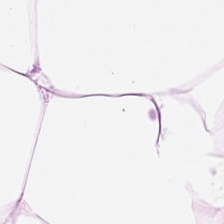Hematoxylin and eosin · 0.5 µm/px — Tissue type — adipocytes.
